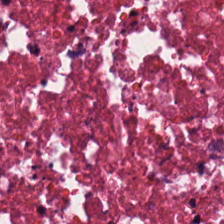Stain: hematoxylin-and-eosin stained section.
Tile size: 224×224 px patch.
Tissue class: cellular debris.
